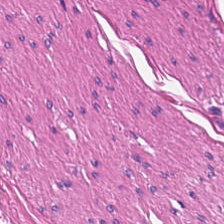H&E stain. Showing smooth-muscle tissue.
